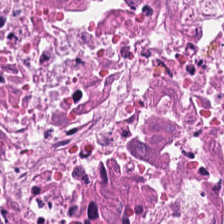H&E-stained tissue section · 224×224 pixel tile. Tissue — debris.
